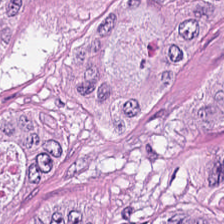FFPE · hematoxylin-and-eosin stained section · 224×224 px tile — The tissue here is adenocarcinoma.
